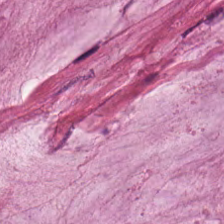Brightfield microscopy. 20× equivalent magnification. Hematoxylin and eosin.
Q: What is shown here?
A: The field shows mucin.
